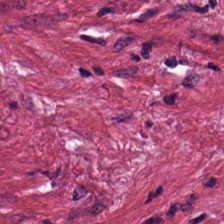Stain: hematoxylin-and-eosin stained section.
Tissue class: tumor stroma.
